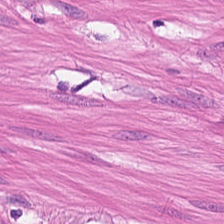H&E stain · formalin-fixed paraffin-embedded section.
Predominantly smooth-muscle tissue.
